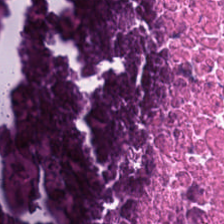H&E stain — Predominantly debris.
